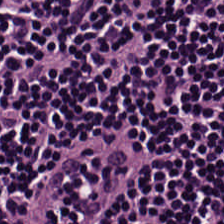H&E-stained tissue section. 224×224 px patch — Q: Identify the tissue.
A: This is lymphocytes.
